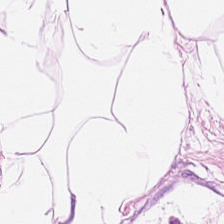Stain: H&E-stained tissue section.
Predominant tissue: fat tissue.
